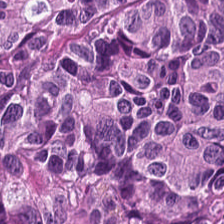Predominant tissue = tumor epithelium.
